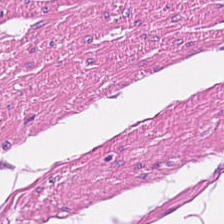Hematoxylin-and-eosin stained section.
The tissue here is muscularis.
